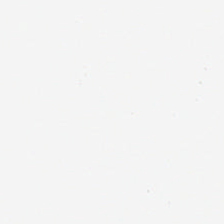Hematoxylin-and-eosin stained section · formalin-fixed paraffin-embedded section · 224×224 px tile — Finding — background.
